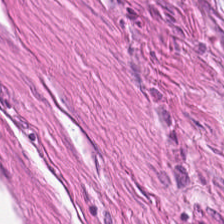H&E-stained tissue section.
This field is muscularis.
